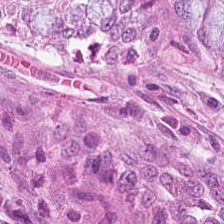H&E — Tissue: normal colonic mucosa.
